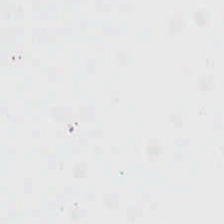Stain: H&E-stained tissue section.
Classification: background (no tissue).
